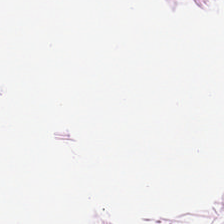H&E stain — The tissue here is adipocytes.
